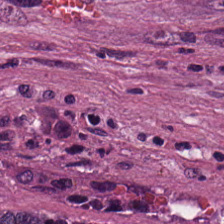Q: What is shown in this field?
A: This is tumor stroma.
